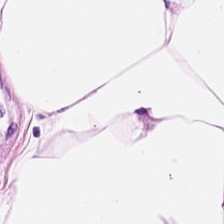224×224 px tile · hematoxylin and eosin. Q: What is shown here?
A: This is adipose tissue.
